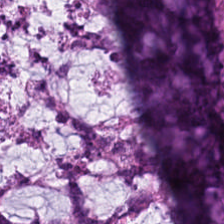Stain: H&E-stained tissue section.
Classification: extracellular mucin.
